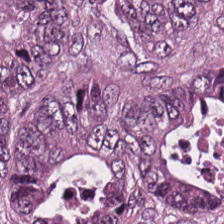H&E stain.
Showing tumor epithelium.
